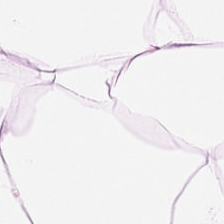Hematoxylin-and-eosin stained section.
This patch shows fat tissue.
